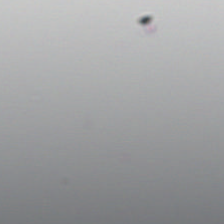H&E stain. Field content: background.
